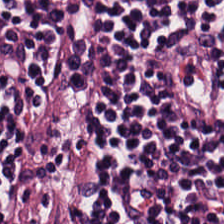H&E-stained tissue section showing lymphocyte aggregate.
